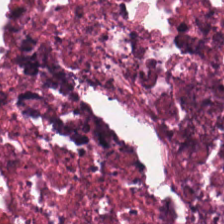Predominant tissue = debris.
